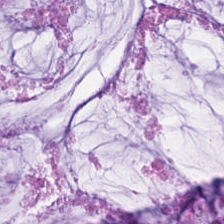Hematoxylin-and-eosin stained section · 20× equivalent magnification. Histology — extracellular mucin.
